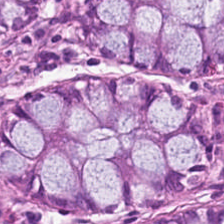H&E stain · 0.5 µm per pixel · whole-slide-image patch. Classification — non-neoplastic colon mucosa.
